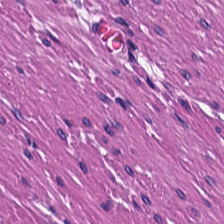Tissue class: smooth muscle.
